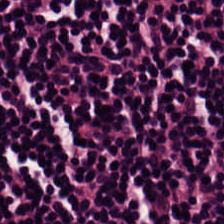H&E-stained tissue section; 0.5 µm/px. The predominant tissue is lymphoid infiltrate.
